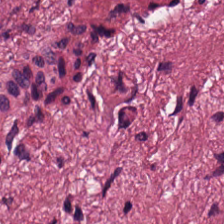Stain: hematoxylin and eosin.
Tissue type: desmoplastic stroma.
